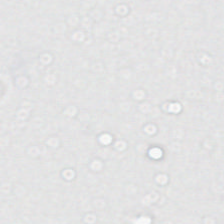Empty field — background.
